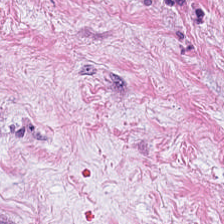0.5 microns per pixel · H&E stain.
Impression — desmoplastic stroma.
